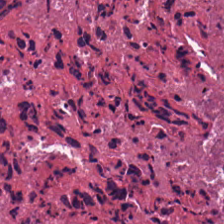Hematoxylin and eosin. The predominant tissue is debris.
